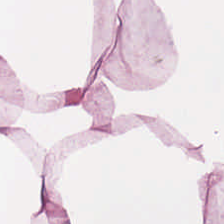Stain: H&E.
Tissue class: adipocytes.
